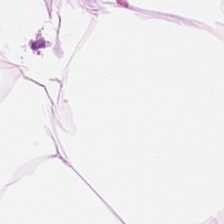Hematoxylin-and-eosin stained section. Histology — adipose.
